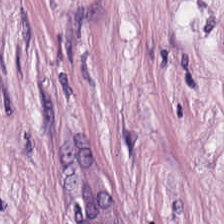H&E-stained tissue section · FFPE tissue section · 20× equivalent magnification — Finding → tumor-associated stroma.
